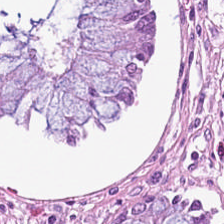Hematoxylin-and-eosin stained section — Histology → normal colonic mucosa.
